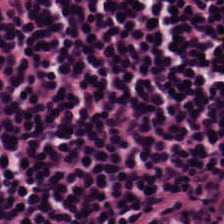224×224 px patch. H&E stain — Showing lymphocytic infiltrate.
